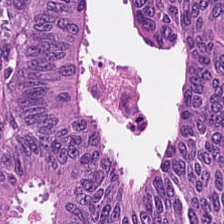Stain: H&E.
Predominant tissue: adenocarcinoma.
